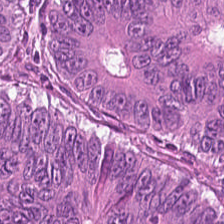Brightfield microscopy; H&E stain; 224×224 px patch.
Histology — colorectal adenocarcinoma.
